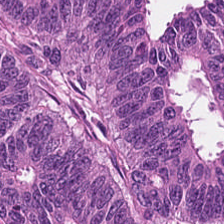224×224 pixel tile; H&E stain. {"tissue_type": "malignant epithelium"}
